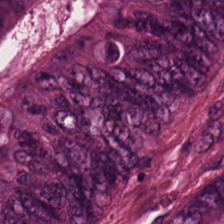The tissue class is mucus.
